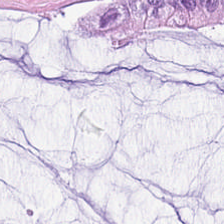H&E · formalin-fixed paraffin-embedded section · WSI patch.
Predominantly mucus.
